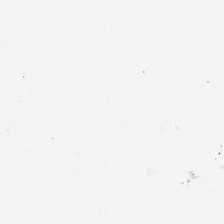H&E-stained tissue section. FFPE.
The classification is background (no tissue).
